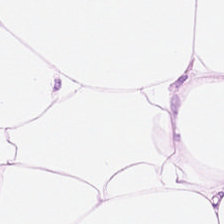H&E stain.
This field is adipocytes.
